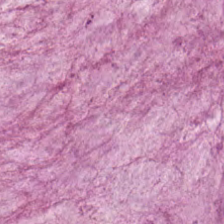H&E — extracellular mucin.
